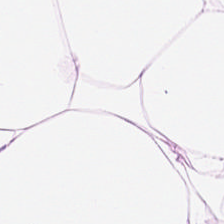224×224 px patch. Hematoxylin and eosin.
Showing adipose tissue.
